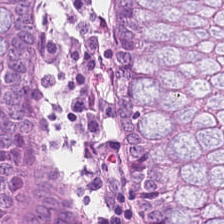H&E — Predominant tissue: normal colonic mucosa.
